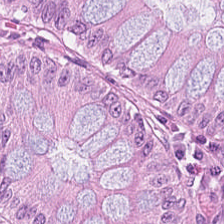Showing non-neoplastic colon mucosa.
